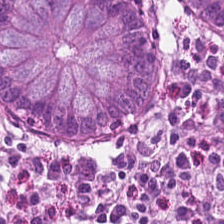H&E-stained tissue section. Q: What is the predominant tissue type?
A: Normal colon mucosa.
